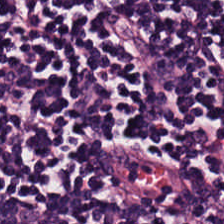0.5 µm per pixel · H&E. Finding → lymphocytes.
